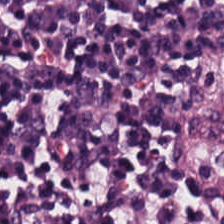Q: What tissue type is shown here?
A: It is lymphocyte aggregate.
